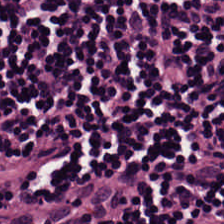H&E-stained tissue section. The tissue class is lymphocyte aggregate.
